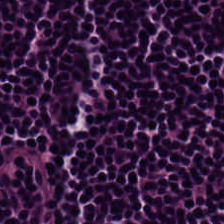H&E.
The predominant tissue is lymphocytic infiltrate.
